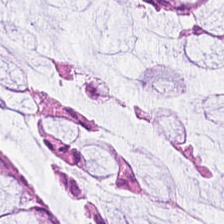224×224 px patch. H&E-stained tissue section. Tissue type: normal colonic mucosa.
